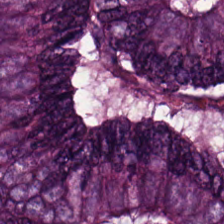0.5 µm/px; H&E-stained tissue section; formalin-fixed paraffin-embedded section — The tissue class is adenocarcinoma.
